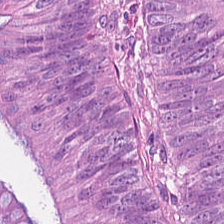H&E stain.
Adenocarcinoma.
